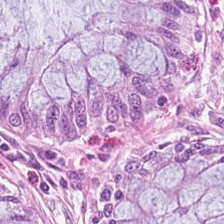H&E stain. FFPE.
Showing normal colonic mucosa.
